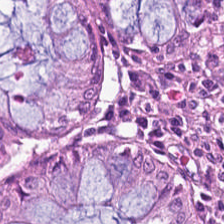Hematoxylin and eosin.
This field is normal colonic mucosa.
